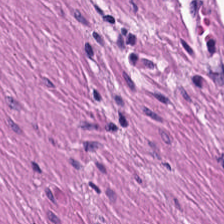Hematoxylin-and-eosin stained section — Classification = smooth muscle.
